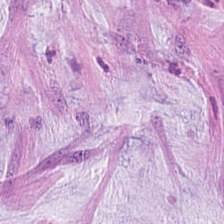224×224 pixel tile; hematoxylin and eosin.
{"tissue_type": "mucus"}
